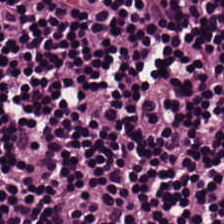224×224 px patch · H&E stain · 0.5 µm/px. The predominant tissue is lymphocytic infiltrate.
